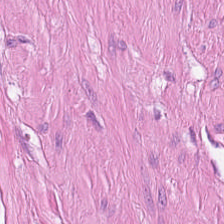H&E. This patch shows muscularis.
